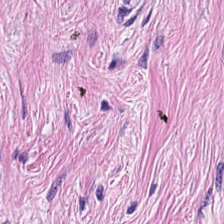20× equivalent magnification. Hematoxylin and eosin — Cancer-associated stroma.
